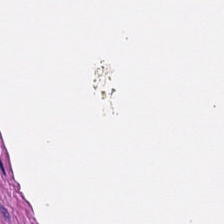Q: Classify this patch.
A: The field shows muscularis.
